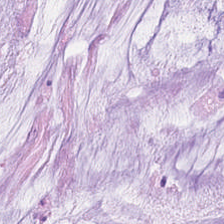H&E stain · FFPE tissue section — The predominant tissue is mucin.
